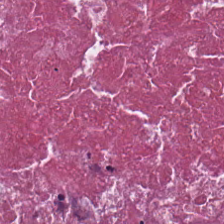H&E-stained tissue section. Showing necrotic debris.
